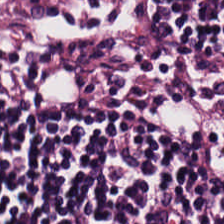Formalin-fixed paraffin-embedded section · hematoxylin and eosin.
Classification — lymphocytes.
